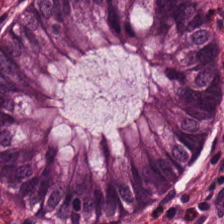H&E stain — Q: What tissue type is shown here?
A: This is normal colon mucosa.
